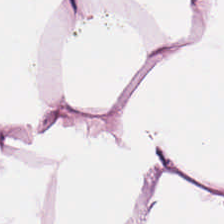Impression — adipocytes.
